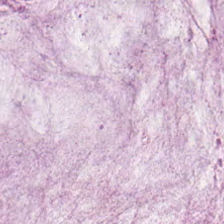Stain: H&E.
Classification: mucin.
